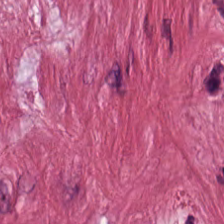Stain: H&E stain.
Tissue type: cancer-associated stroma.
